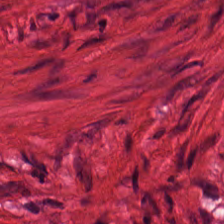Hematoxylin-and-eosin stained section.
Histology → smooth-muscle tissue.
